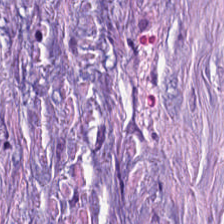H&E. Finding → cancer-associated stroma.
